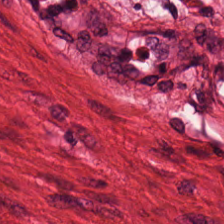H&E-stained tissue section — Showing smooth-muscle tissue.
